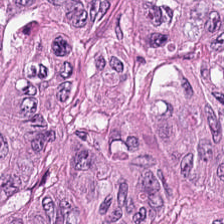H&E. Formalin-fixed paraffin-embedded section. Brightfield microscopy. Q: What is shown in this field?
A: It is colorectal adenocarcinoma epithelium.
